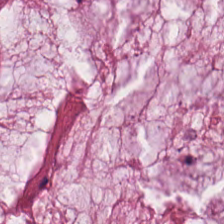H&E patch showing mucin.
